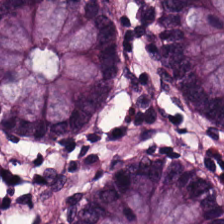Stain: hematoxylin and eosin.
Tissue type: benign colonic mucosa.
